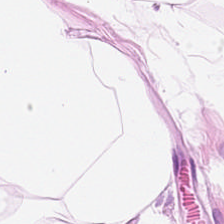Hematoxylin-and-eosin stained section.
This field is fat tissue.
